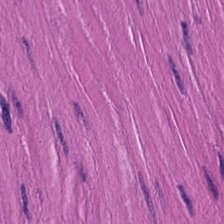Hematoxylin-and-eosin stained section; FFPE — Tissue class = muscularis.
